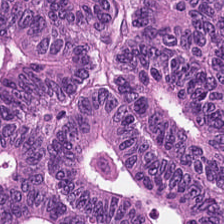0.5 µm/px. Brightfield. Hematoxylin-and-eosin stained section — Tissue — colorectal adenocarcinoma.
